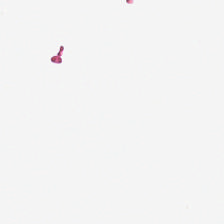This field is background (no tissue).
